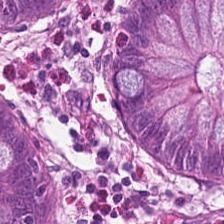Tissue type: normal colonic mucosa.
